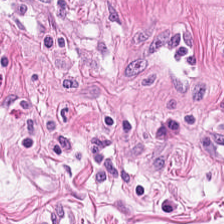H&E patch showing smooth-muscle tissue.
